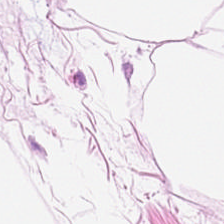Hematoxylin-and-eosin stained section — The tissue here is adipocytes.
